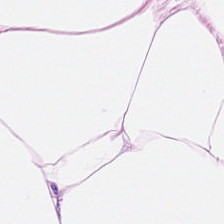Hematoxylin-and-eosin stained section. {"tissue_type": "adipose"}
